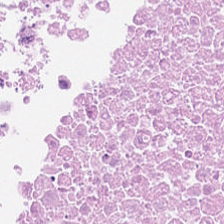Q: What is the predominant tissue type?
A: Cellular debris.
